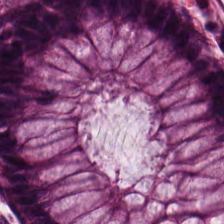Hematoxylin-and-eosin stained section.
Histology → benign colonic mucosa.
